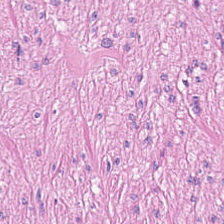Hematoxylin-and-eosin stained section. The tissue class is smooth-muscle tissue.
